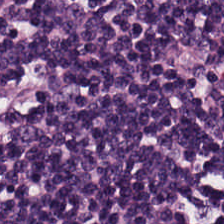Showing lymphocytes.
